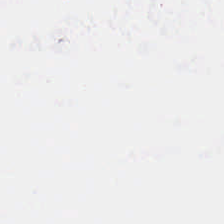Stain: H&E stain.
Field content: background (no tissue).
